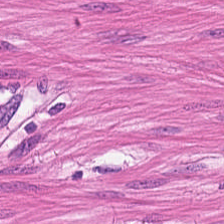Stain: hematoxylin-and-eosin stained section.
Tissue type: smooth-muscle tissue.
